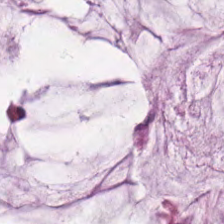Hematoxylin and eosin. Whole-slide-image patch.
This patch shows mucus.
